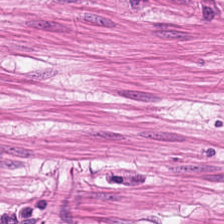FFPE tissue section · hematoxylin and eosin.
Predominantly smooth-muscle tissue.
